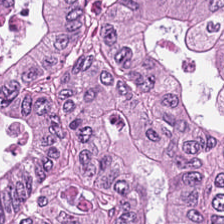H&E stain.
The tissue type is tumor epithelium.
